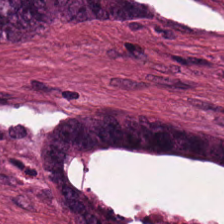Hematoxylin-and-eosin stained section. Whole-slide-image patch — Impression → tumor epithelium.
